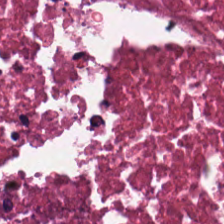H&E stain. Showing necrotic debris.
